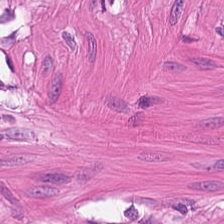Hematoxylin and eosin. Tissue type = smooth muscle.
